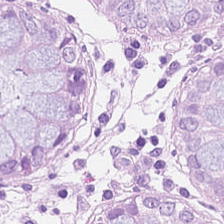0.5 µm per pixel; 224×224 px tile; hematoxylin and eosin.
Q: Identify the tissue.
A: Non-neoplastic colon mucosa.
